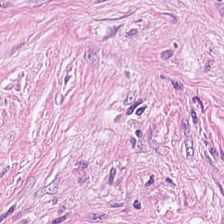This patch shows cancer-associated stroma.
